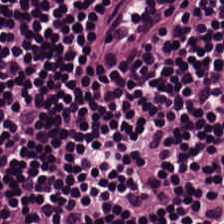H&E-stained tissue section; 224×224 pixel tile; formalin-fixed paraffin-embedded section. Showing lymphoid infiltrate.
